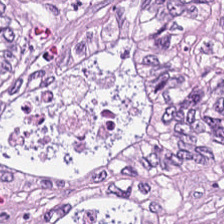Hematoxylin-and-eosin stained section — Q: What tissue is shown?
A: Adenocarcinoma.
